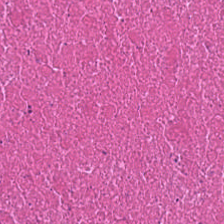H&E stain. Predominantly necrotic debris.
